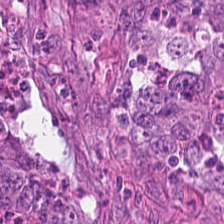Hematoxylin-and-eosin section: colorectal adenocarcinoma.
